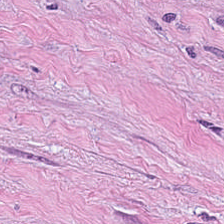Q: Classify this patch.
A: This is cancer-associated stroma.
